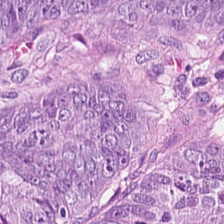H&E-stained tissue section — The predominant tissue is adenocarcinoma.
